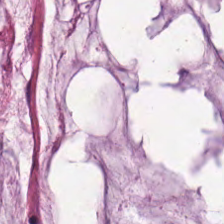20× equivalent magnification. H&E. The tissue type is mucus.
